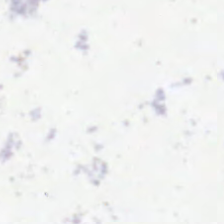The field content is background.
